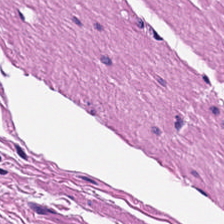H&E · FFPE tissue section — This patch shows smooth-muscle tissue.
